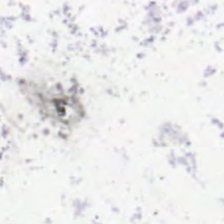Q: What does this patch show?
A: This is background (no tissue).
